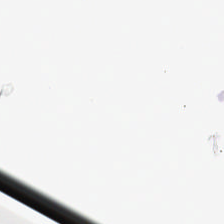Stain: H&E-stained tissue section.
Acquisition: WSI patch.
Classification: background (no tissue).
